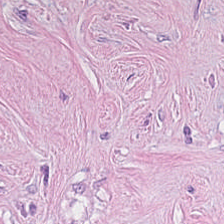H&E-stained tissue section; 224×224 px tile; 0.5 microns per pixel.
Desmoplastic stroma.
